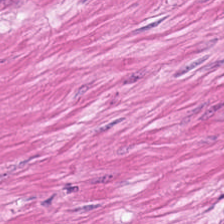Hematoxylin-and-eosin stained section. Q: Identify the tissue.
A: It is smooth muscle.
